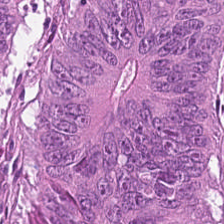H&E. Whole-slide-image patch. 0.5 µm per pixel — Tissue: colorectal adenocarcinoma epithelium.
